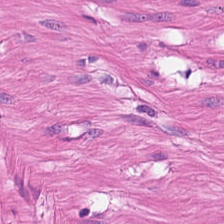224×224 px patch; 20× equivalent magnification; H&E-stained tissue section. The tissue here is muscularis.
